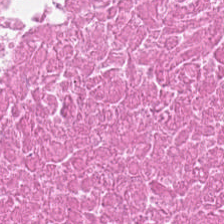20× equivalent magnification · FFPE · H&E.
Tissue class: debris.
